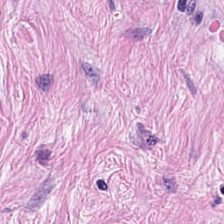H&E — Tissue class — tumor-associated stroma.
